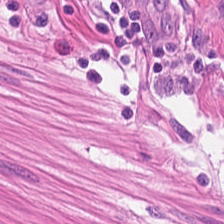Q: What is shown here?
A: Muscularis.
